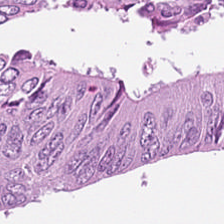Stain: hematoxylin-and-eosin stained section.
Tissue: adenocarcinoma.
